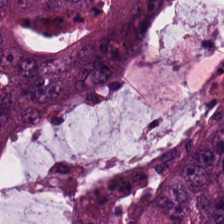Formalin-fixed paraffin-embedded section; 20× equivalent magnification; hematoxylin and eosin.
The predominant tissue is colorectal adenocarcinoma.
